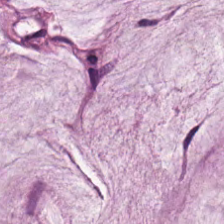224×224 px tile · H&E-stained tissue section — Tissue type = mucin.
